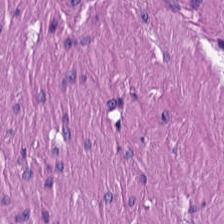H&E stain.
Smooth-muscle tissue.
